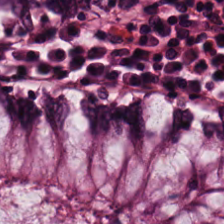H&E — Q: What is shown here?
A: It is normal colon mucosa.
